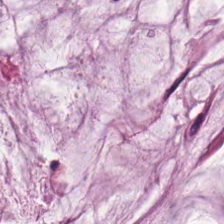Hematoxylin and eosin.
Q: What is shown in this field?
A: It is mucus.
